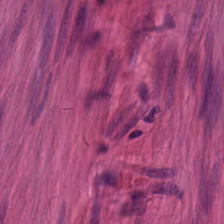Stain: H&E.
Predominant tissue: smooth-muscle tissue.
